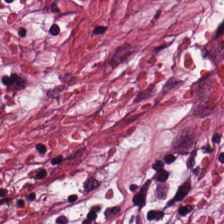Hematoxylin-and-eosin stained section; 0.5 µm per pixel.
Histology → tumor-associated stroma.
